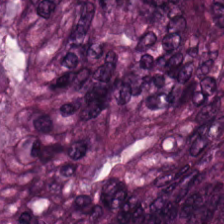0.5 µm/px; hematoxylin and eosin.
This field is adenocarcinoma.
